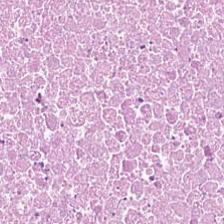Hematoxylin and eosin; 224×224 px tile. Tissue — debris.
